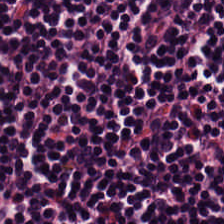H&E; brightfield microscopy.
Tissue type: lymphocyte aggregate.
